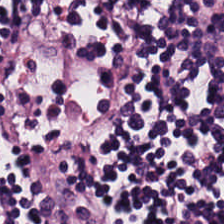224×224 pixel tile; H&E stain.
Finding → lymphoid infiltrate.
